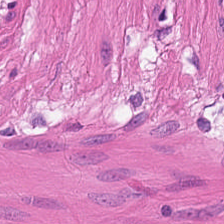H&E.
The tissue type is smooth-muscle tissue.
